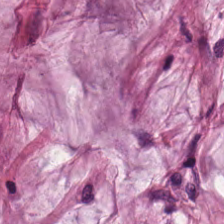FFPE. 0.5 µm/px. Hematoxylin-and-eosin stained section. {"tissue_type": "extracellular mucin"}
